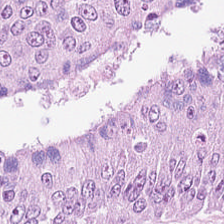The predominant tissue is colorectal adenocarcinoma.
